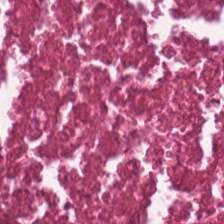Impression — cellular debris.
